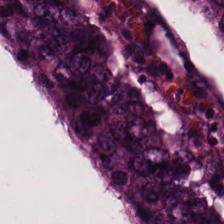Stain: hematoxylin and eosin.
Predominant tissue: adenocarcinoma.
